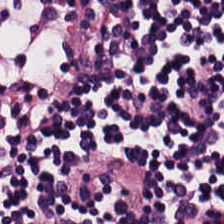H&E stain — {"tissue_type": "lymphocytes"}
